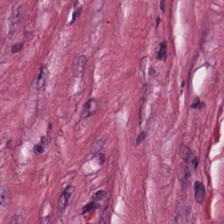Hematoxylin and eosin. Q: Identify the tissue.
A: Cancer-associated stroma.
